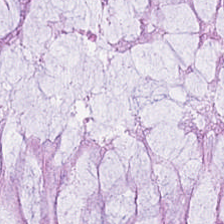Hematoxylin and eosin — The tissue here is normal colonic mucosa.
